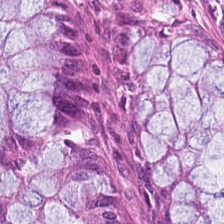Stain: H&E-stained tissue section.
Preparation: FFPE tissue section.
Acquisition: whole-slide-image patch.
Tissue: non-neoplastic colon mucosa.
